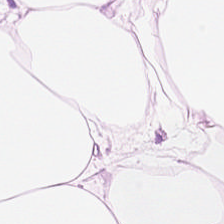224×224 px tile · H&E stain. Predominant tissue: adipose.
